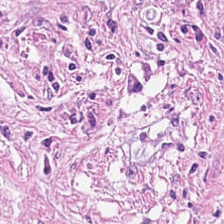Hematoxylin-and-eosin stained section — The tissue here is tumor stroma.
